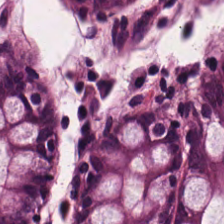H&E stain · FFPE tissue section.
{"tissue_type": "normal colonic mucosa"}
